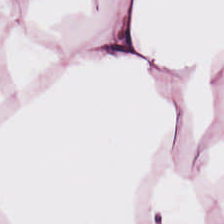H&E-stained tissue section — Showing adipose.
